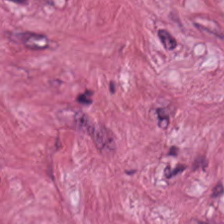Hematoxylin and eosin. Cancer-associated stroma.
